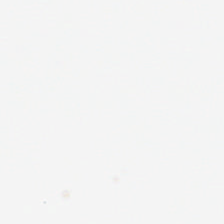This patch shows empty background.
